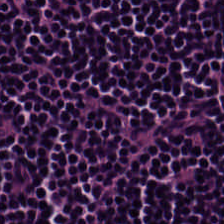Stain: H&E stain.
Tissue type: lymphocytes.
